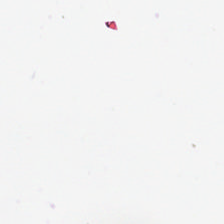20× equivalent magnification; 224×224 px patch; hematoxylin-and-eosin stained section. Classification — background.
